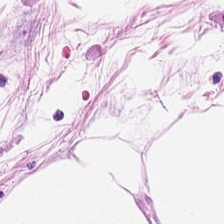Tissue = adipose.
